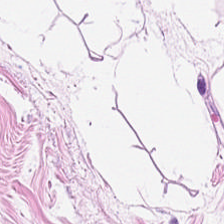Stain: hematoxylin and eosin.
Tile size: 224×224 px patch.
Tissue type: adipocytes.
